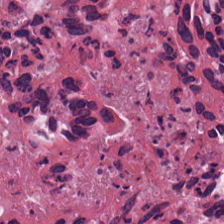Hematoxylin and eosin. Impression — debris.
